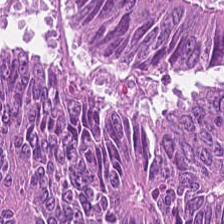Q: What is shown in this field?
A: The field shows adenocarcinoma.
